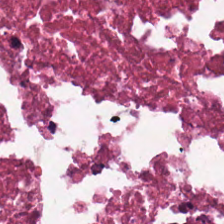The tissue here is necrotic debris.
